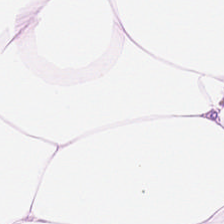Hematoxylin and eosin. Q: What is shown in this field?
A: It is adipose.
